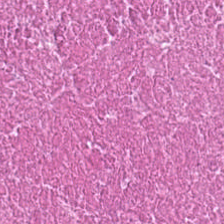Hematoxylin and eosin · 0.5 microns per pixel — The tissue here is necrotic debris.
